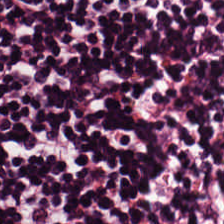Predominant tissue: lymphocytic infiltrate.
